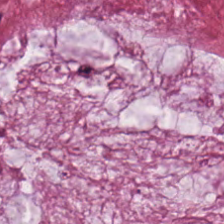H&E. The tissue is mucin.
